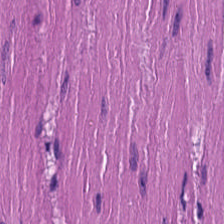H&E stain — Histology → muscularis.
